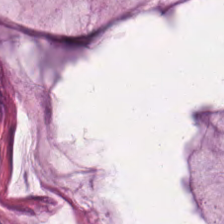Hematoxylin and eosin. Q: What tissue is shown?
A: Extracellular mucin.
